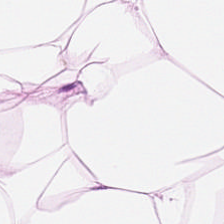H&E-stained tissue section. Tissue class: fat tissue.
